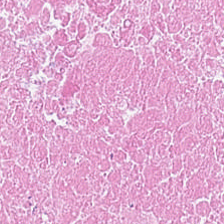H&E-stained tissue section.
Classification = necrotic debris.
